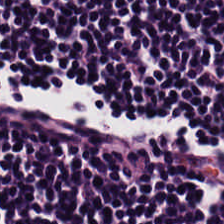H&E stain — Showing lymphocyte aggregate.
